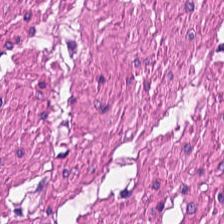Predominantly smooth-muscle tissue.
